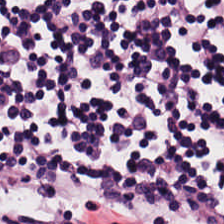Brightfield; H&E stain — Q: What type of tissue is this?
A: It is lymphoid infiltrate.
